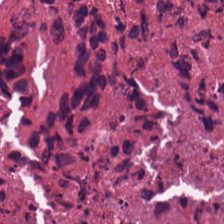Finding — debris.
